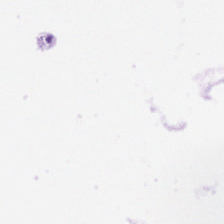This patch shows background (no tissue).
